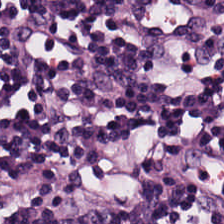Hematoxylin-and-eosin stained section — Impression → lymphocytic infiltrate.
